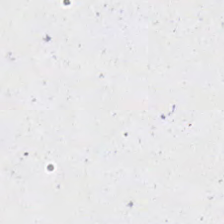H&E-stained tissue section. Content — empty background.
